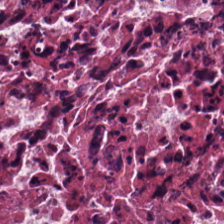Classification — necrotic debris.
